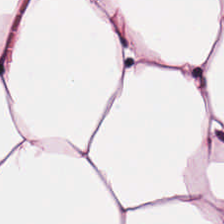Stain: H&E-stained tissue section.
Classification: fat tissue.
